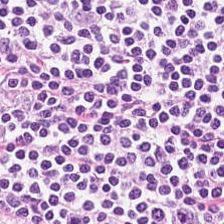Stain: hematoxylin and eosin.
Tissue: lymphocytes.
